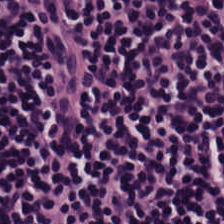H&E-stained tissue section.
Classification = lymphocytes.
